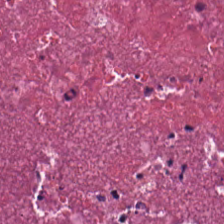H&E-stained tissue section — Tissue type = cellular debris.
